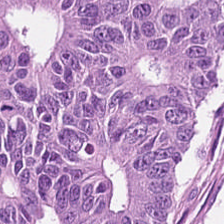Histology → tumor epithelium.
